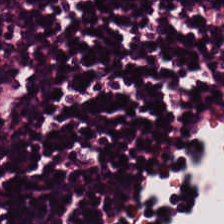Stain: H&E stain.
Tile size: 224×224 px tile.
Tissue class: lymphocytic infiltrate.
